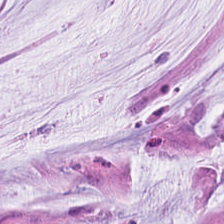Hematoxylin-and-eosin stained section — Q: What tissue type is shown here?
A: It is mucus.
